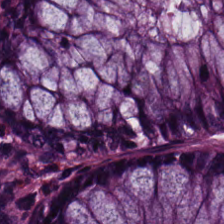Stain: H&E-stained tissue section.
Preparation: FFPE tissue section.
Predominant tissue: normal colonic mucosa.
